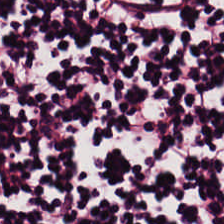The predominant tissue is lymphocytes.
